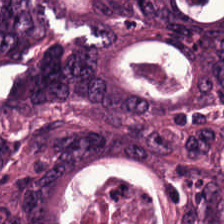0.5 µm/px · hematoxylin and eosin · WSI patch — Finding — tumor epithelium.
